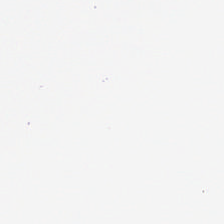This field is background (no tissue).
